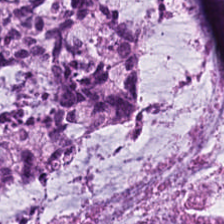Hematoxylin and eosin · FFPE tissue section · 224×224 px patch. Q: What is the predominant tissue type?
A: Mucin.
